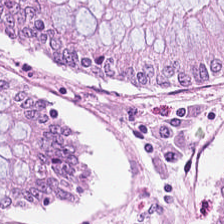Hematoxylin-and-eosin stained section — This patch shows non-neoplastic colon mucosa.
